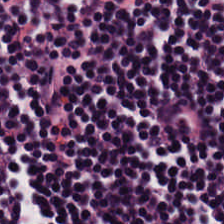This patch shows lymphocytic infiltrate.
